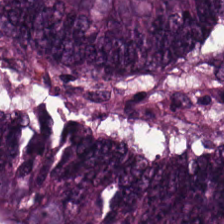Hematoxylin-and-eosin stained section; 224×224 px patch; FFPE.
Tissue: malignant epithelium.
